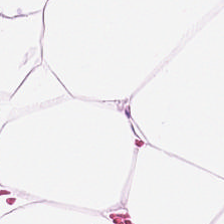WSI patch · FFPE · H&E.
Histology — fat tissue.
